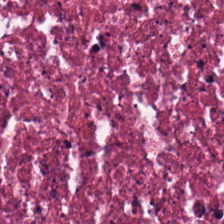Hematoxylin and eosin · 20× equivalent magnification — Q: Classify this patch.
A: The field shows debris.
